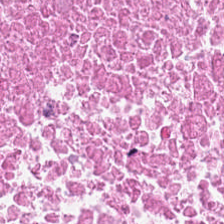{"tissue_type": "cellular debris"}
